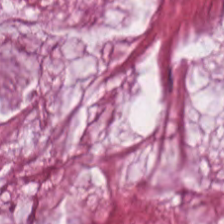Tissue: mucin.
